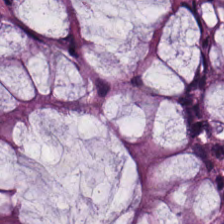224×224 pixel tile. H&E. Classification — non-neoplastic colon mucosa.
